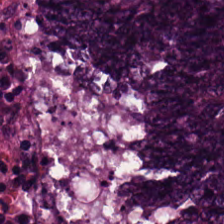FFPE. 224×224 px patch. Hematoxylin and eosin. Predominant tissue = tumor epithelium.
